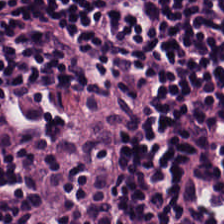Stain: H&E.
Predominant tissue: lymphoid infiltrate.
